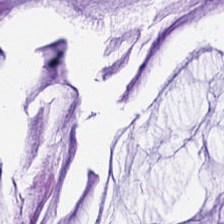Stain: hematoxylin-and-eosin stained section.
Predominant tissue: mucin.
